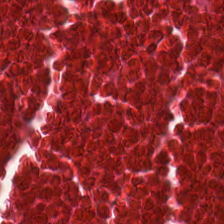H&E stain.
{"tissue_type": "debris"}
